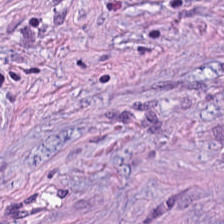Stain: hematoxylin-and-eosin stained section.
Tissue class: cancer-associated stroma.
